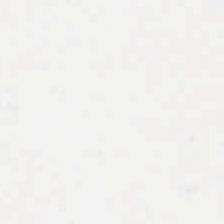FFPE tissue section · hematoxylin-and-eosin stained section. Background — no tissue in this field.
